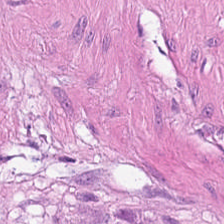H&E-stained tissue section. Predominant tissue — smooth muscle.
